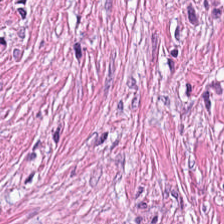H&E-stained tissue section. Tumor-associated stroma.
